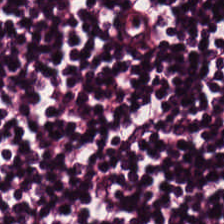Formalin-fixed paraffin-embedded section. 224×224 px patch. Hematoxylin and eosin.
The classification is lymphoid infiltrate.
